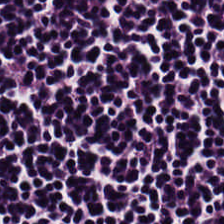224×224 pixel tile · 0.5 microns per pixel · hematoxylin and eosin.
This patch shows lymphocytes.
